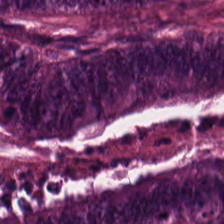H&E-stained tissue section. This field is malignant epithelium.
